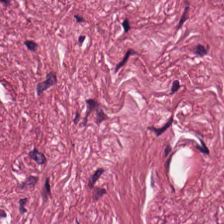Predominantly desmoplastic stroma.
